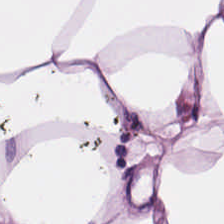224×224 px tile. H&E-stained tissue section.
Adipose.
